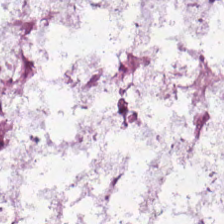H&E patch showing mucus.
